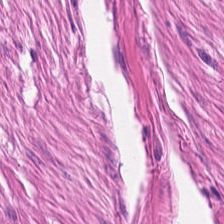Hematoxylin-and-eosin stained section. 20× equivalent magnification — This field is smooth-muscle tissue.
